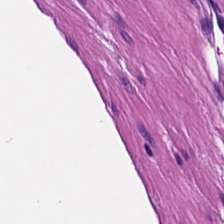Stain: H&E stain.
Tissue type: smooth muscle.
